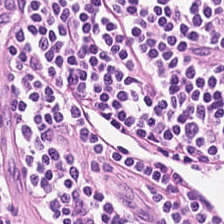Stain: hematoxylin-and-eosin stained section.
Predominant tissue: lymphocyte aggregate.
